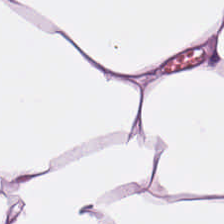Stain: H&E.
Preparation: FFPE.
Tissue class: adipose tissue.
